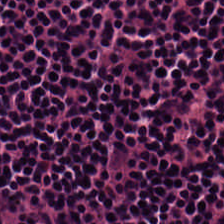H&E-stained tissue section — Lymphocytes.
